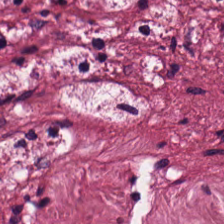Stain: H&E.
Preparation: FFPE tissue section.
Acquisition: whole-slide-image patch.
Predominant tissue: cancer-associated stroma.
